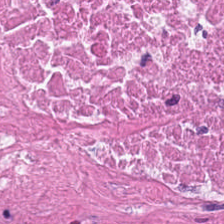Q: What tissue type is shown here?
A: It is debris.
